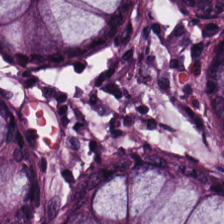Q: What does this patch show?
A: It is non-neoplastic colon mucosa.
